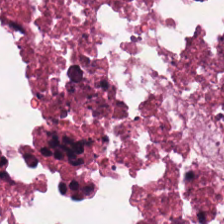Hematoxylin-and-eosin stained section · 224×224 px tile.
Q: What is shown here?
A: Cellular debris.
